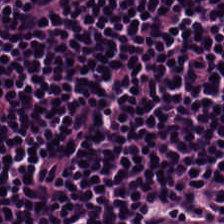H&E stain · 20× equivalent magnification · 224×224 px patch — Tissue type = lymphocytic infiltrate.
